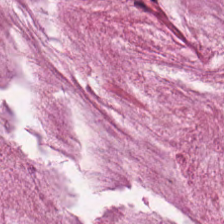H&E. Formalin-fixed paraffin-embedded section. The predominant tissue is extracellular mucin.
